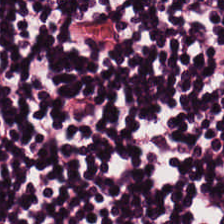Stain: hematoxylin and eosin.
Tissue type: lymphocytic infiltrate.
